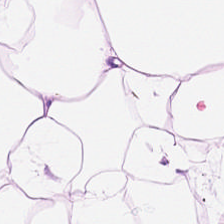Showing adipose tissue.
